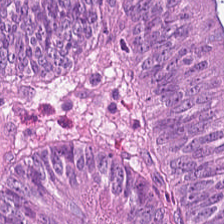{"tissue_type": "colorectal adenocarcinoma"}
